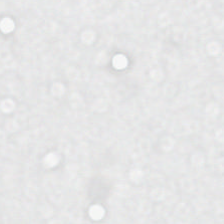Content — no tissue.
